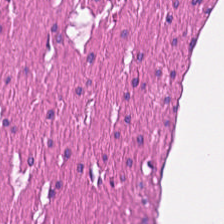Q: What type of tissue is this?
A: This is smooth muscle.
